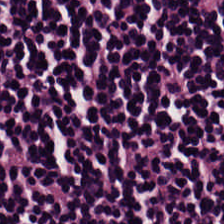H&E-stained tissue section.
The predominant tissue is lymphocytes.
